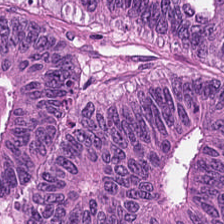H&E stain · formalin-fixed paraffin-embedded section — Q: What tissue is shown?
A: The field shows colorectal adenocarcinoma epithelium.
